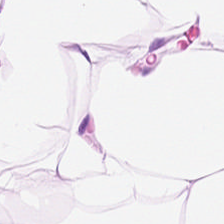224×224 px patch; WSI patch; H&E-stained tissue section — Tissue: fat tissue.
